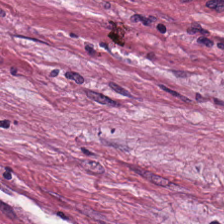Finding — cancer-associated stroma.
